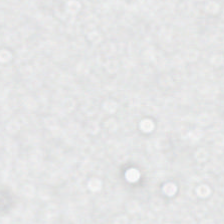Stain: hematoxylin-and-eosin stained section.
Classification: no tissue.
